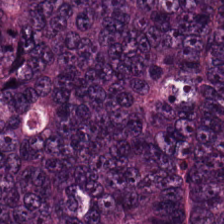The tissue here is malignant epithelium.
